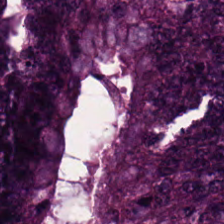H&E stain.
This field is colorectal adenocarcinoma epithelium.
